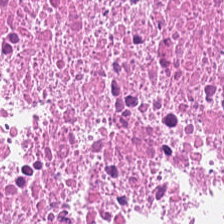224×224 px tile · hematoxylin-and-eosin stained section · FFPE.
Q: What type of tissue is this?
A: The field shows necrotic debris.
